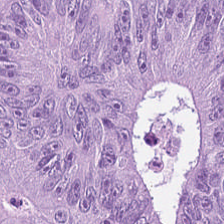H&E.
Classification = colorectal adenocarcinoma epithelium.
